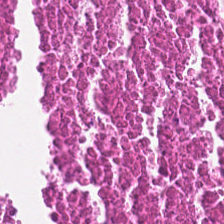The predominant tissue is debris.
